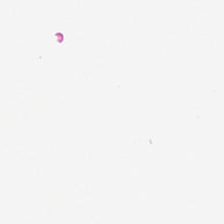H&E stain — Finding → background.
